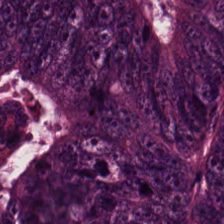FFPE; H&E-stained tissue section.
The tissue here is adenocarcinoma.
